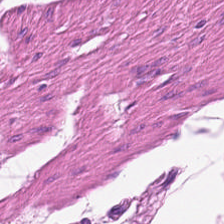Stain: hematoxylin and eosin.
Predominant tissue: smooth-muscle tissue.
